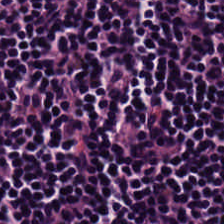Hematoxylin and eosin. The tissue here is lymphoid infiltrate.
